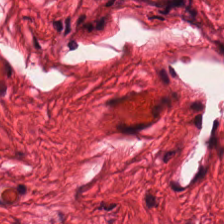Stain: H&E stain.
Tissue type: muscularis.
